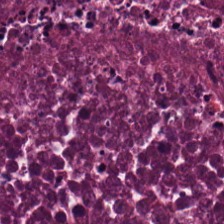H&E — debris.
